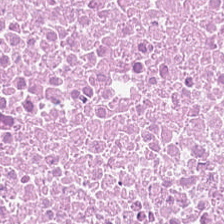This patch shows cellular debris.
